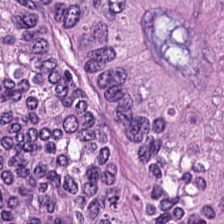H&E stain.
Predominantly tumor epithelium.
